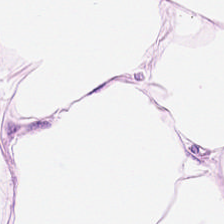Whole-slide-image patch; H&E stain. This patch shows adipose tissue.
